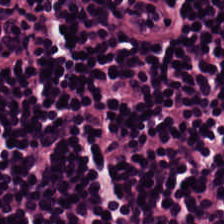Hematoxylin-and-eosin section: lymphocytic infiltrate.
